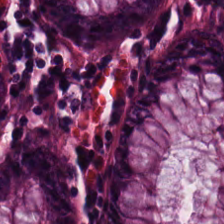H&E. Classification — benign colonic mucosa.
